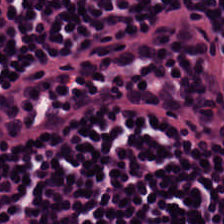H&E. 224×224 px tile. 20× equivalent magnification — This patch shows lymphocytes.
